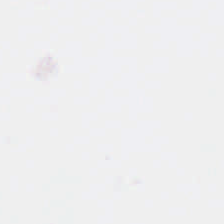Whole-slide-image patch. 224×224 px tile. Hematoxylin and eosin.
This field is background (no tissue).
